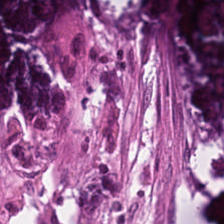Finding → cellular debris.
